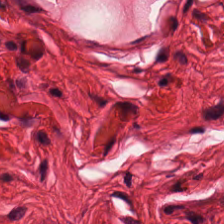H&E — Q: What tissue type is shown here?
A: Muscularis.
